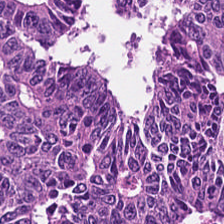0.5 microns per pixel; hematoxylin and eosin. The classification is tumor epithelium.
